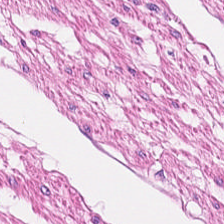Stain: H&E.
Tissue: smooth muscle.
